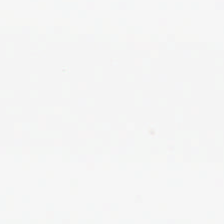Stain: hematoxylin-and-eosin stained section.
Resolution: 0.5 µm per pixel.
Acquisition: whole-slide-image patch.
Field content: background (no tissue).
